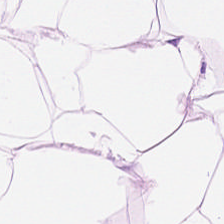Hematoxylin-and-eosin stained section. Tissue type — adipose.
